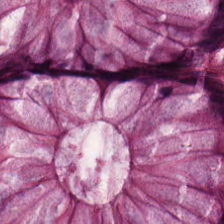Hematoxylin and eosin.
Q: What does this patch show?
A: The field shows non-neoplastic colon mucosa.
